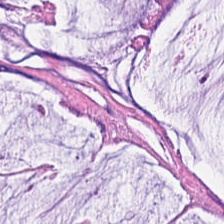H&E stain · 20× equivalent magnification — Tissue class = mucin.
